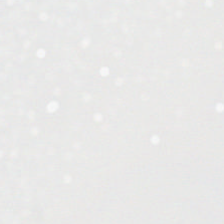Hematoxylin-and-eosin stained section. 224×224 px patch. Histology → no tissue.
